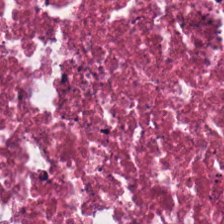Impression — cellular debris.
